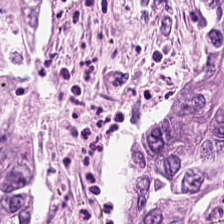Hematoxylin-and-eosin section: colorectal adenocarcinoma epithelium.
